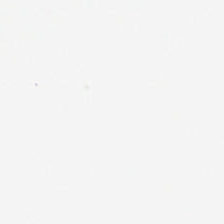Brightfield. H&E-stained tissue section — This field is background (no tissue).
